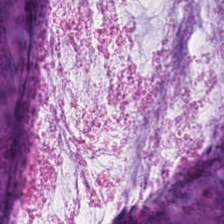Formalin-fixed paraffin-embedded section; hematoxylin and eosin; 224×224 pixel tile. Tissue class = extracellular mucin.
